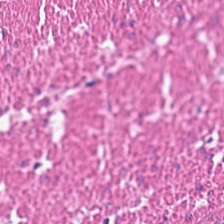Tissue class: smooth muscle.
